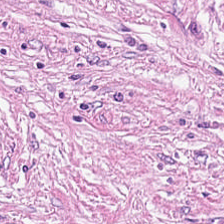H&E stain.
Predominant tissue: tumor-associated stroma.
